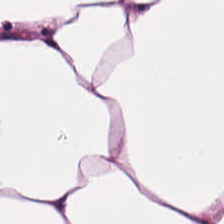Whole-slide-image patch · 224×224 px patch · H&E stain. Tissue: adipocytes.
